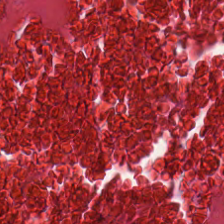224×224 px patch · brightfield microscopy · H&E.
Q: What does this patch show?
A: Necrotic debris.
